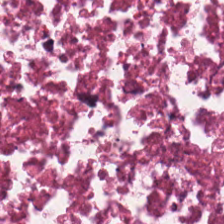H&E — Showing debris.
